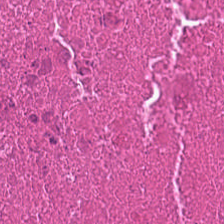Stain: hematoxylin and eosin.
Tissue type: debris.
